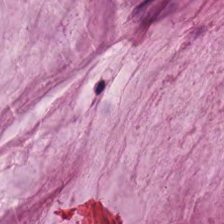H&E stain. FFPE tissue section.
This field is mucus.
